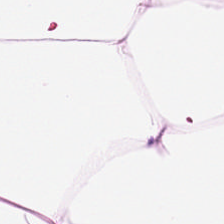H&E. Tissue class — adipose tissue.
